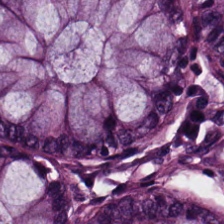Stain: H&E-stained tissue section.
Classification: non-neoplastic colon mucosa.
